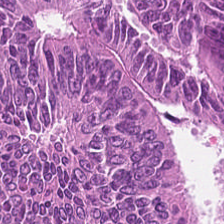Hematoxylin-and-eosin stained section · 224×224 px tile · 0.5 µm/px — Finding → tumor epithelium.
